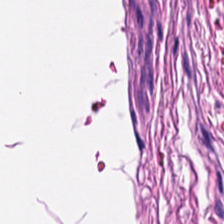The tissue here is muscularis.
